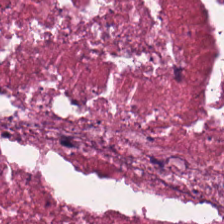224×224 pixel tile; hematoxylin-and-eosin stained section. {"tissue_type": "debris"}
